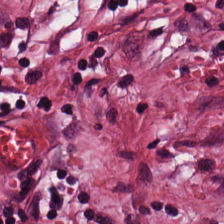H&E stain; 224×224 px tile.
{"tissue_type": "tumor-associated stroma"}
